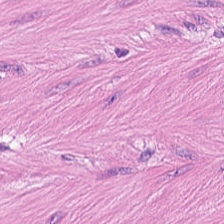H&E stain — The tissue type is smooth-muscle tissue.
